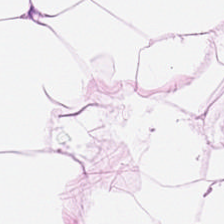Hematoxylin-and-eosin stained section — Q: What is the predominant tissue type?
A: This is adipose tissue.
